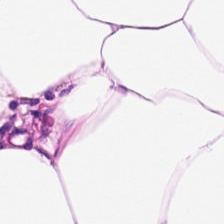This field is fat tissue.
